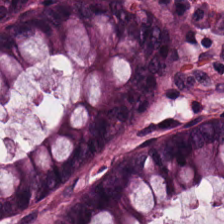Whole-slide-image patch; 0.5 µm per pixel; hematoxylin-and-eosin stained section — The tissue here is normal colon mucosa.
